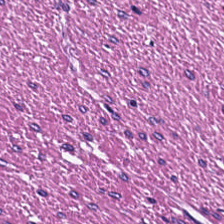H&E-stained tissue section.
Impression — smooth-muscle tissue.
